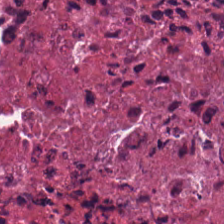FFPE; 0.5 microns per pixel; H&E-stained tissue section. The tissue here is cellular debris.
